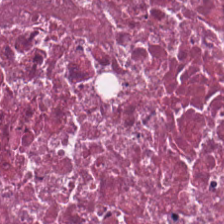Showing cellular debris.
